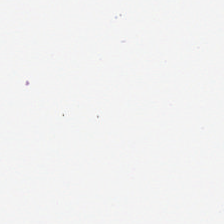WSI patch; 0.5 microns per pixel; hematoxylin and eosin.
Field content = no tissue.
